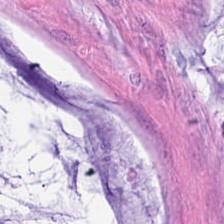Brightfield microscopy. 0.5 microns per pixel. Hematoxylin-and-eosin stained section. Classification = mucin.
